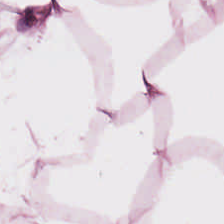H&E stain; 224×224 px patch; formalin-fixed paraffin-embedded section. Showing adipocytes.
